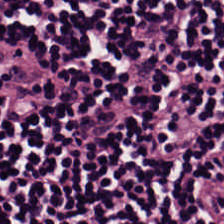Lymphocyte aggregate.
